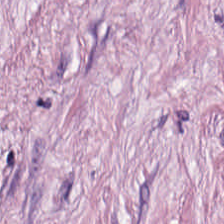Predominant tissue — desmoplastic stroma.
